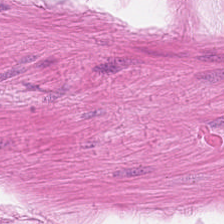H&E stain. Classification: smooth-muscle tissue.
